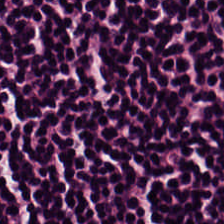Whole-slide-image patch · hematoxylin-and-eosin stained section. Q: What is shown in this field?
A: The field shows lymphocytic infiltrate.
